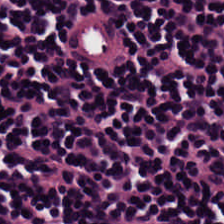Hematoxylin-and-eosin stained section. The predominant tissue is lymphocytes.
